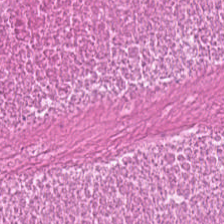Hematoxylin-and-eosin stained section · whole-slide-image patch.
Classification — necrotic debris.
